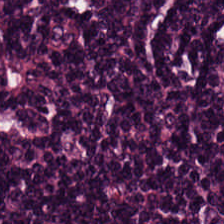FFPE · hematoxylin and eosin.
The tissue here is lymphocytes.
